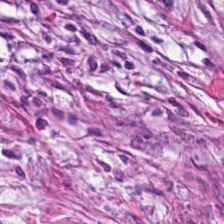224×224 px patch · H&E · FFPE tissue section — {"tissue_type": "desmoplastic stroma"}
